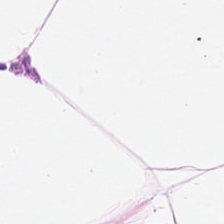Hematoxylin and eosin. Q: What type of tissue is this?
A: This is adipose.
